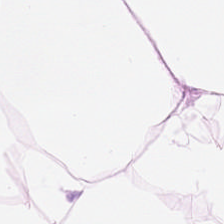H&E-stained tissue section.
This patch shows adipose.
